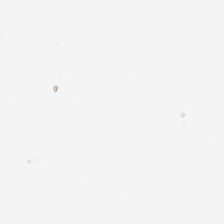H&E-stained tissue section. FFPE — Q: Classify this patch.
A: The field shows empty background.
